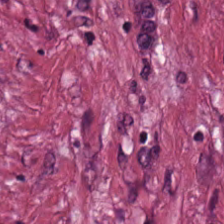Hematoxylin and eosin. 0.5 microns per pixel — Finding — cancer-associated stroma.
